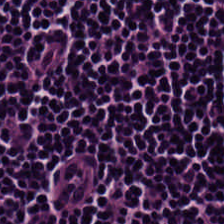H&E stain · 224×224 px tile. {"tissue_type": "lymphocytic infiltrate"}
